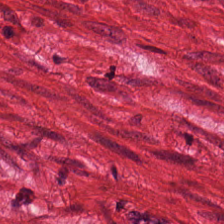224×224 pixel tile; 0.5 µm per pixel; H&E-stained tissue section.
Tissue: smooth-muscle tissue.
